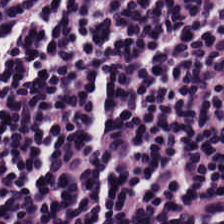Hematoxylin-and-eosin stained section. Histology — lymphocyte aggregate.
